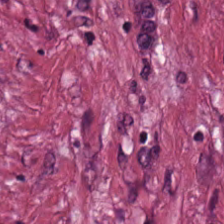H&E-stained tissue section.
The predominant tissue is tumor stroma.
